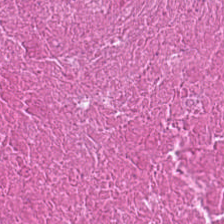H&E-stained tissue section.
{"tissue_type": "debris"}
